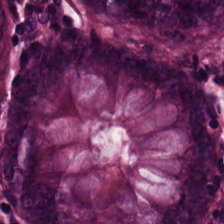Stain: H&E-stained tissue section.
Tissue: normal colonic mucosa.
